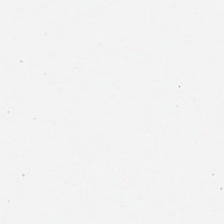No tissue present; background only.
